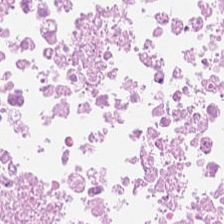{"tissue_type": "necrotic debris"}
